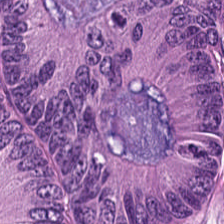H&E-stained tissue section — Histology — adenocarcinoma.
